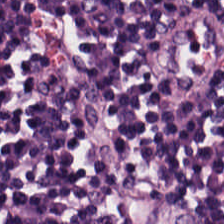Hematoxylin-and-eosin stained section.
Histology → lymphocytes.
